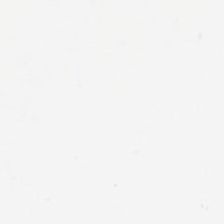{"content": "background"}
